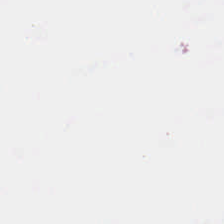H&E stain. FFPE tissue section.
Finding → no tissue.
